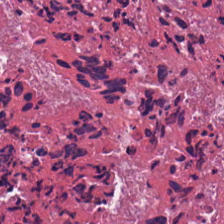20× equivalent magnification. H&E. FFPE tissue section. Classification — cellular debris.
